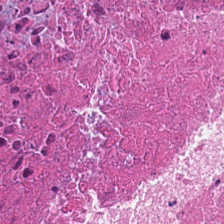Hematoxylin and eosin. Predominantly cellular debris.
